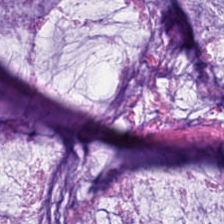Hematoxylin-and-eosin stained section.
Q: What tissue is shown?
A: Mucus.
